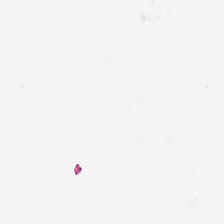H&E stain.
Histology — no tissue.
